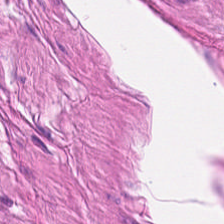The tissue type is smooth-muscle tissue.
